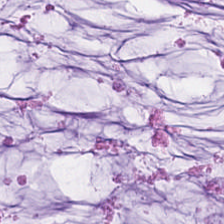Histology → mucus.
